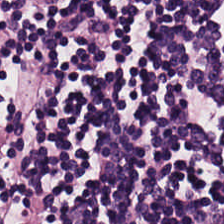Tissue: lymphoid infiltrate.
